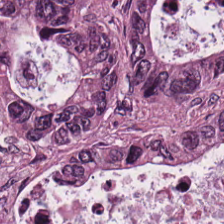Hematoxylin and eosin.
{"tissue_type": "malignant epithelium"}
